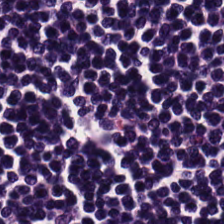H&E stain; FFPE tissue section; 224×224 pixel tile. The predominant tissue is lymphocytes.
